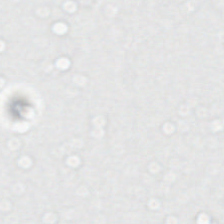Q: What is shown in this field?
A: This is background (no tissue).
